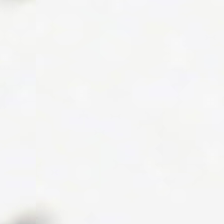Stain: H&E stain.
Preparation: formalin-fixed paraffin-embedded section.
Acquisition: brightfield microscopy.
Field content: background.
